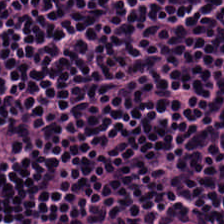224×224 px patch · brightfield · H&E stain. Finding → lymphocytic infiltrate.
